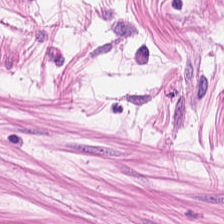Finding — smooth-muscle tissue.
